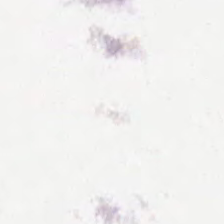Brightfield. FFPE. H&E stain — Empty field — empty background.
